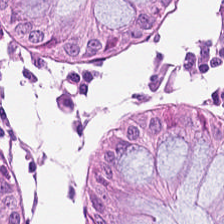Hematoxylin-and-eosin stained section · 0.5 microns per pixel — Q: What tissue type is shown here?
A: This is normal colonic mucosa.
